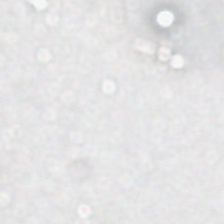0.5 µm per pixel; H&E-stained tissue section. No tissue present; background only.
